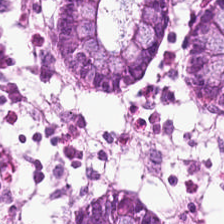FFPE; 20× equivalent magnification; H&E stain. Q: What does this patch show?
A: This is non-neoplastic colon mucosa.
